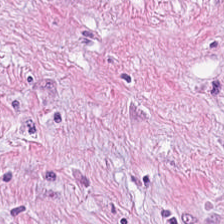H&E-stained tissue section · brightfield. Classification — tumor stroma.
